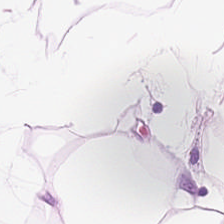Hematoxylin-and-eosin stained section. WSI patch.
Tissue type: fat tissue.
